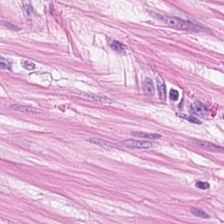H&E-stained tissue section · WSI patch · 224×224 px tile — Tissue type = muscularis.
